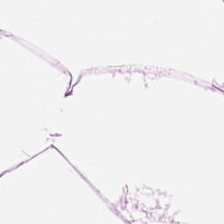Q: What is the predominant tissue type?
A: This is adipose.
